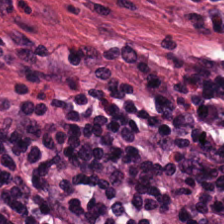{"tissue_type": "cancer-associated stroma"}
